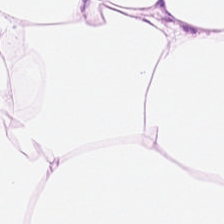H&E — Q: Classify this patch.
A: This is adipocytes.
